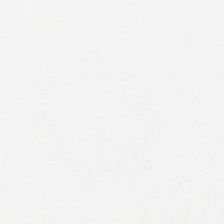Stain: H&E.
Classification: background.
